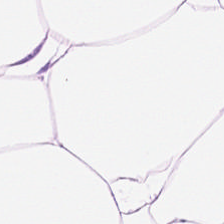H&E-stained tissue section.
Classification — adipose.
